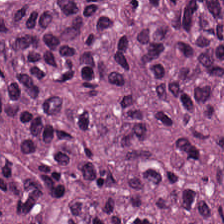Hematoxylin and eosin. Brightfield microscopy — Adenocarcinoma.
